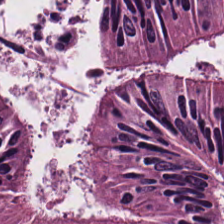Formalin-fixed paraffin-embedded section. 224×224 pixel tile. Hematoxylin-and-eosin stained section.
Showing colorectal adenocarcinoma epithelium.
